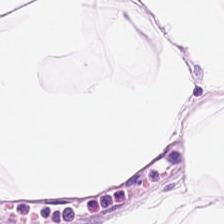H&E · whole-slide-image patch. Tissue class = adipose.
